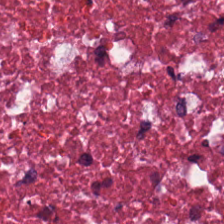H&E — This patch shows necrotic debris.
